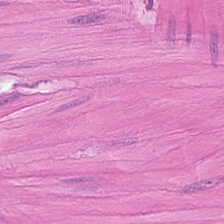Hematoxylin and eosin.
This patch shows smooth-muscle tissue.
